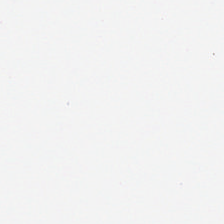Stain: H&E.
Resolution: 0.5 µm/px.
Field content: no tissue.
